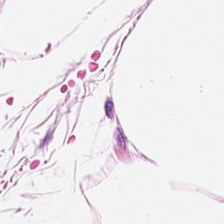Q: What type of tissue is this?
A: It is adipose.
